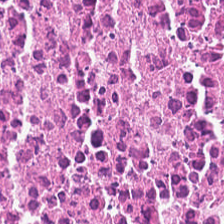Whole-slide-image patch · hematoxylin-and-eosin stained section. The tissue is cellular debris.
